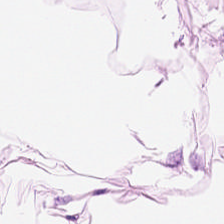Stain: H&E.
Tile size: 224×224 px tile.
Classification: fat tissue.
